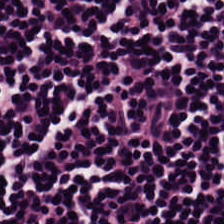H&E stain. Q: Identify the tissue.
A: It is lymphocytic infiltrate.
